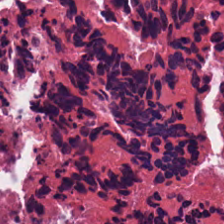{"tissue_type": "necrotic debris"}
